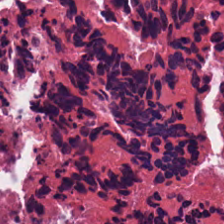{"tissue_type": "necrotic debris"}
